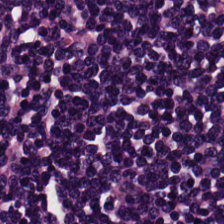0.5 µm/px. Hematoxylin and eosin — The predominant tissue is lymphocyte aggregate.
